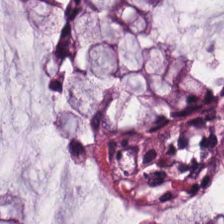224×224 px tile · H&E stain.
Normal colon mucosa.
